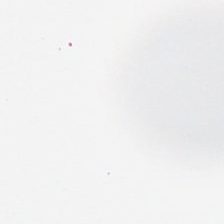0.5 µm per pixel · H&E.
Impression → background (no tissue).
